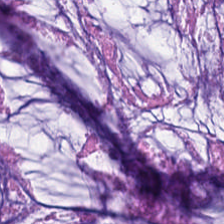H&E — The predominant tissue is extracellular mucin.
